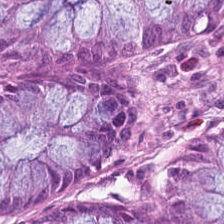0.5 µm per pixel; H&E stain — Q: What is shown in this field?
A: The field shows normal colonic mucosa.
